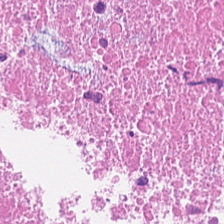Stain: hematoxylin-and-eosin stained section.
Preparation: FFPE tissue section.
Resolution: 20× equivalent magnification.
Tissue: necrotic debris.
